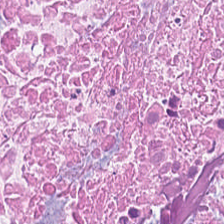The tissue here is cellular debris.
